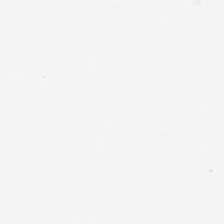Stain: H&E stain.
Field content: background (no tissue).
